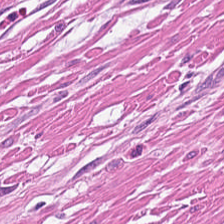Hematoxylin and eosin; 0.5 µm per pixel — Predominant tissue: muscularis.
